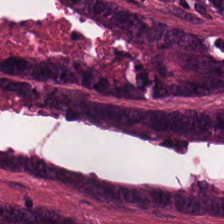Hematoxylin and eosin.
{"tissue_type": "malignant epithelium"}
